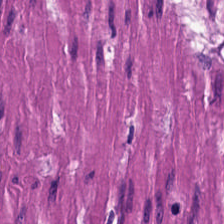{"tissue_type": "smooth muscle"}
